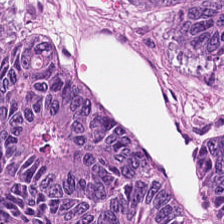Tissue class = malignant epithelium.
